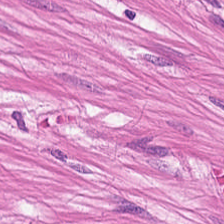H&E — Classification: smooth-muscle tissue.
